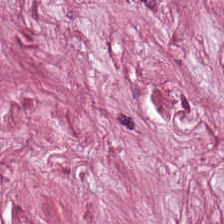Hematoxylin-and-eosin stained section · FFPE · brightfield microscopy. This field is desmoplastic stroma.
